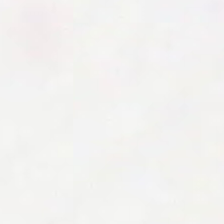Stain: hematoxylin and eosin.
Field content: empty background.
